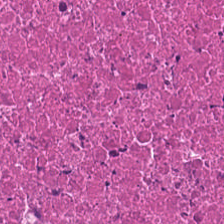FFPE. H&E stain. 0.5 µm/px — This field is necrotic debris.
